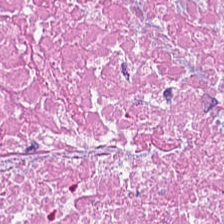H&E — Finding — cellular debris.
